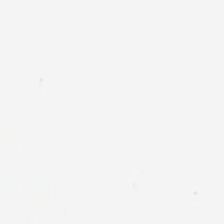H&E stain — Impression — empty background.
